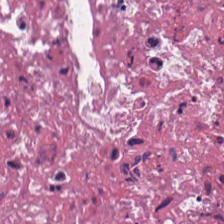H&E stain. Histology — necrotic debris.
